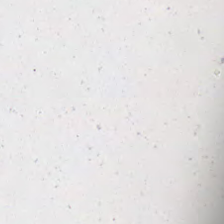H&E-stained tissue section; 0.5 µm per pixel.
Background (no tissue).
